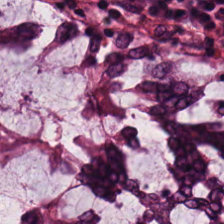H&E stain; brightfield microscopy. Q: Identify the tissue.
A: Non-neoplastic colon mucosa.
